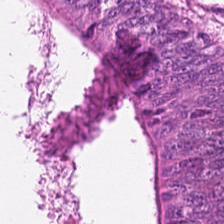H&E stain. WSI patch.
Colorectal adenocarcinoma.
